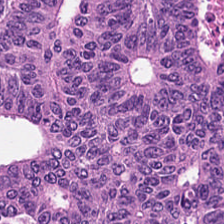FFPE tissue section · H&E stain · whole-slide-image patch — Classification: tumor epithelium.
